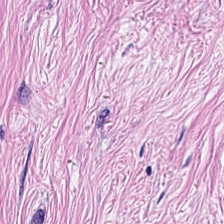H&E-stained section; the field shows tumor stroma.
